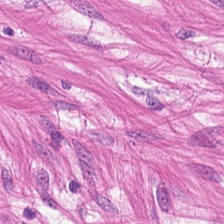Q: What type of tissue is this?
A: It is smooth muscle.
